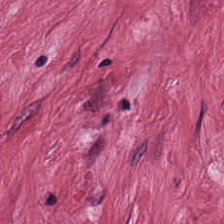H&E patch showing desmoplastic stroma.
